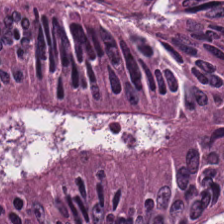H&E. Histology — malignant epithelium.
